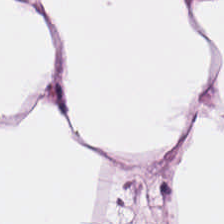20× equivalent magnification. Hematoxylin and eosin — Finding — adipocytes.
